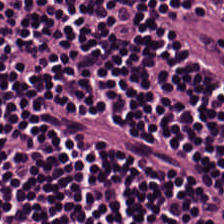0.5 microns per pixel · 224×224 px tile · H&E-stained tissue section.
{"tissue_type": "lymphocytic infiltrate"}
